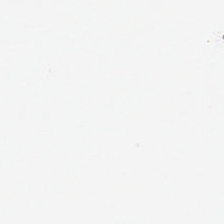No tissue present; background only.
